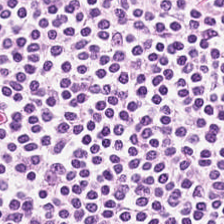Hematoxylin and eosin.
Predominantly lymphoid infiltrate.
